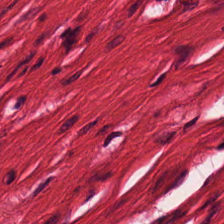H&E. 224×224 px tile.
Histology → smooth-muscle tissue.
